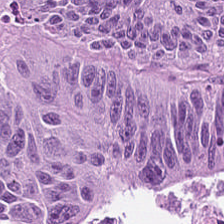224×224 px patch. 0.5 µm/px. H&E stain. Adenocarcinoma.
